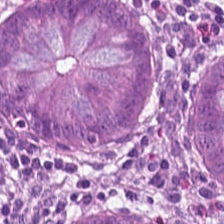Stain: H&E stain.
Tissue class: benign colonic mucosa.
